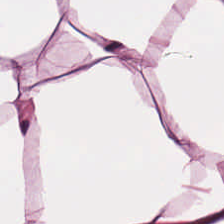WSI patch. Hematoxylin and eosin. Classification — fat tissue.
